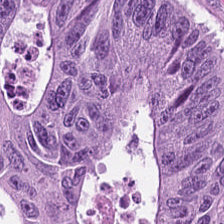H&E. Predominant tissue = adenocarcinoma.
